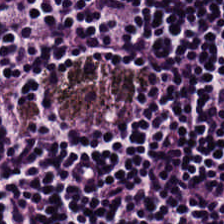H&E stain. Formalin-fixed paraffin-embedded section. 0.5 µm per pixel.
Classification: lymphocytic infiltrate.
